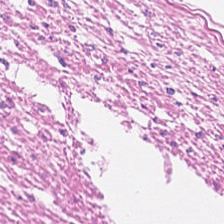H&E — Classification: smooth muscle.
